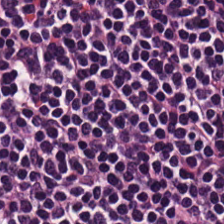Hematoxylin-and-eosin stained section.
This field is lymphocyte aggregate.
